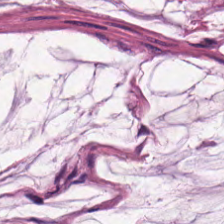H&E stain.
This patch shows extracellular mucin.
